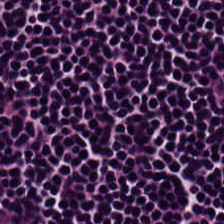0.5 µm/px; FFPE; H&E stain — This field is lymphoid infiltrate.
